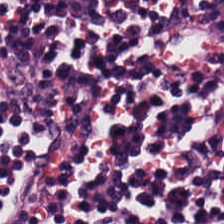The tissue class is lymphoid infiltrate.
